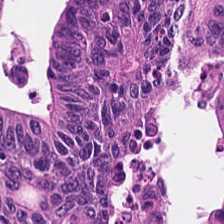FFPE tissue section. 0.5 µm per pixel. Hematoxylin and eosin — The tissue is colorectal adenocarcinoma.
